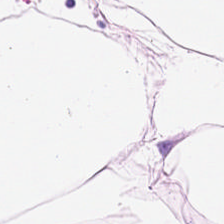Hematoxylin-and-eosin stained section; 20× equivalent magnification; whole-slide-image patch — Predominant tissue — adipocytes.
